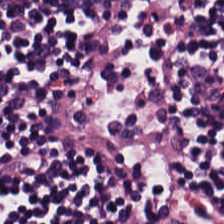H&E stain. The classification is lymphocyte aggregate.
